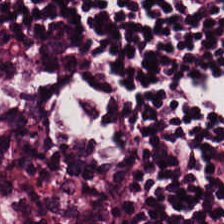224×224 pixel tile. Hematoxylin and eosin. Formalin-fixed paraffin-embedded section — Finding → lymphocytes.
